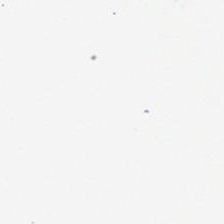Background — no tissue in this field.
